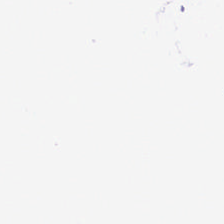H&E-stained tissue section.
{"content": "background"}
